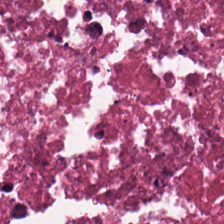Hematoxylin and eosin. Tissue class: cellular debris.
